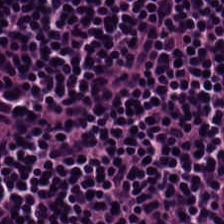Whole-slide-image patch; H&E-stained tissue section. The predominant tissue is lymphocytes.
